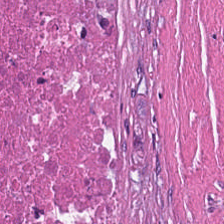Hematoxylin-and-eosin stained section — Predominantly necrotic debris.
